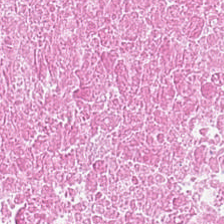H&E stain. Tissue class: debris.
